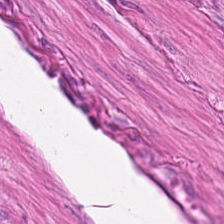H&E — Classification — muscularis.
